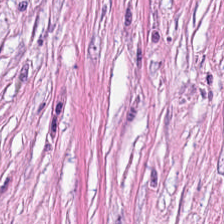Hematoxylin and eosin.
The predominant tissue is desmoplastic stroma.
